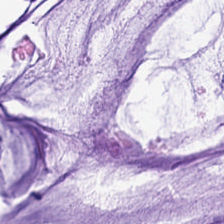Stain: H&E stain.
Predominant tissue: extracellular mucin.
